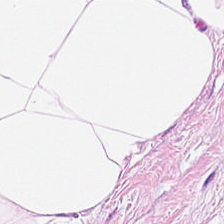H&E stain — Q: What tissue type is shown here?
A: It is adipose.
